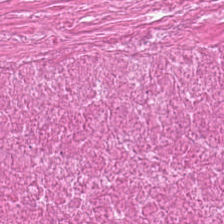H&E stain — The tissue is necrotic debris.
